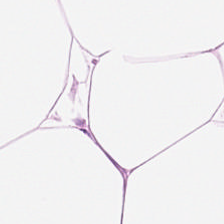Hematoxylin-and-eosin stained section. 0.5 µm/px — This field is adipose tissue.
